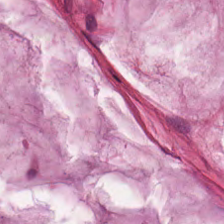H&E stain; brightfield microscopy.
The tissue type is extracellular mucin.
